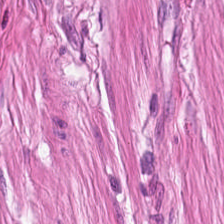H&E stain; 224×224 px tile.
The predominant tissue is muscularis.
